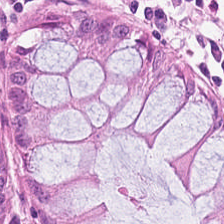Stain: H&E-stained tissue section.
Tissue class: normal colon mucosa.
